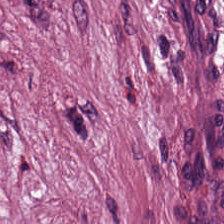Hematoxylin and eosin. Tissue type: cancer-associated stroma.
